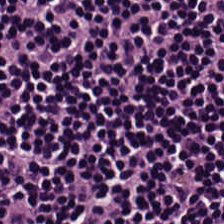0.5 µm per pixel · hematoxylin and eosin · WSI patch. Lymphocyte aggregate.
